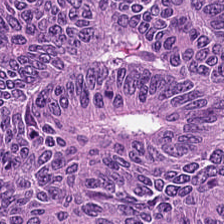This field is colorectal adenocarcinoma epithelium.
